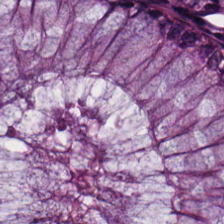Hematoxylin and eosin. WSI patch.
Q: What tissue type is shown here?
A: This is normal colonic mucosa.
